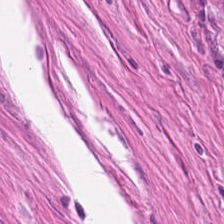H&E-stained tissue section — This field is smooth-muscle tissue.
